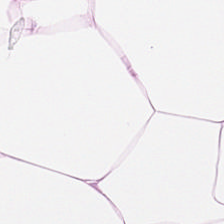Tissue type = adipocytes.
